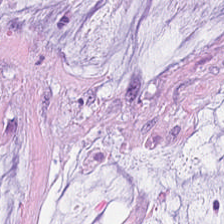Hematoxylin and eosin · whole-slide-image patch — The predominant tissue is extracellular mucin.
